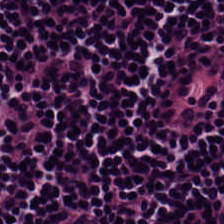Hematoxylin and eosin. Showing lymphocytic infiltrate.
